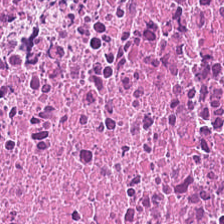Hematoxylin-and-eosin stained section. Predominantly necrotic debris.
